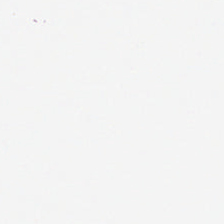Hematoxylin-and-eosin stained section.
Q: What is shown here?
A: The field shows background (no tissue).
